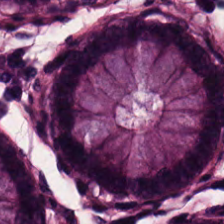H&E stain.
Q: What is shown in this field?
A: The field shows normal colonic mucosa.
